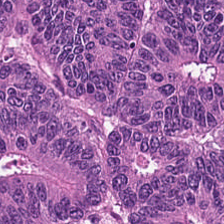H&E — This field is tumor epithelium.
